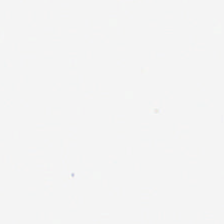H&E. Impression → empty background.
